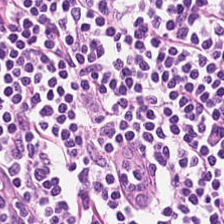Hematoxylin and eosin.
Tissue type — lymphoid infiltrate.
